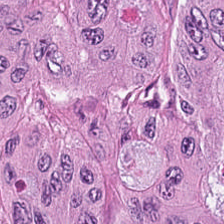Stain: H&E.
Classification: adenocarcinoma.
